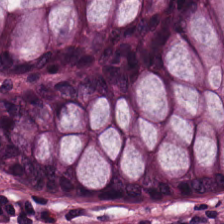Brightfield · hematoxylin and eosin — Showing non-neoplastic colon mucosa.
